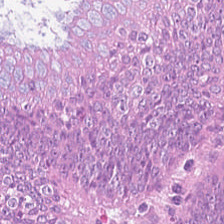H&E stain. Brightfield.
Q: Identify the tissue.
A: It is colorectal adenocarcinoma.
